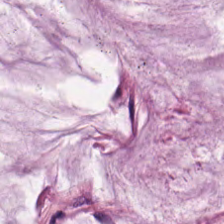H&E.
Q: What is shown here?
A: This is mucus.
